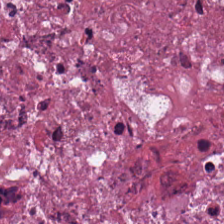0.5 µm/px · H&E stain · FFPE tissue section.
{"tissue_type": "debris"}
